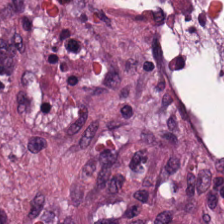Stain: hematoxylin and eosin.
Predominant tissue: tumor-associated stroma.
